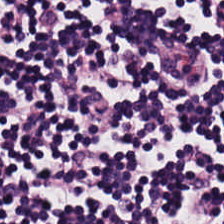224×224 pixel tile. H&E. This patch shows lymphoid infiltrate.
